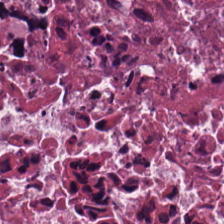Hematoxylin and eosin.
Predominantly necrotic debris.
